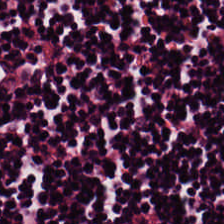0.5 microns per pixel. Hematoxylin-and-eosin stained section — This patch shows lymphocyte aggregate.
